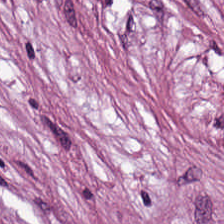H&E. Q: What is the predominant tissue type?
A: Tumor stroma.
